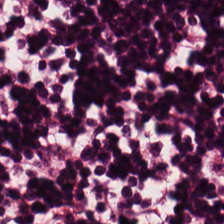The predominant tissue is lymphocyte aggregate.
